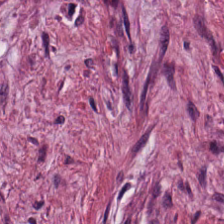H&E-stained tissue section.
The predominant tissue is desmoplastic stroma.
